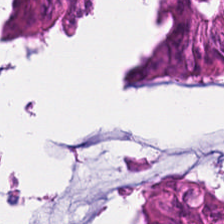H&E stain; whole-slide-image patch; 0.5 µm/px.
{"tissue_type": "colorectal adenocarcinoma epithelium"}
